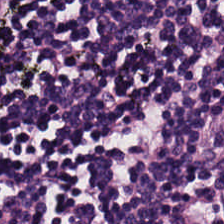The classification is lymphocytes.
